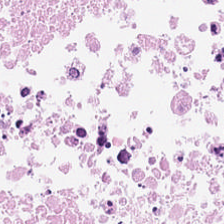H&E-stained tissue section · FFPE tissue section.
This patch shows necrotic debris.
